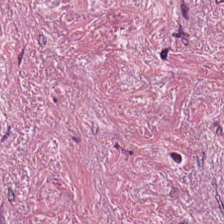Histology → desmoplastic stroma.
